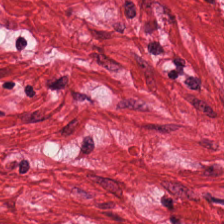Hematoxylin and eosin; brightfield microscopy.
The classification is smooth-muscle tissue.
